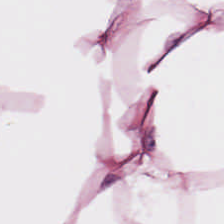H&E stain. The tissue here is adipocytes.
